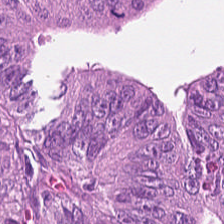Histology → adenocarcinoma.
